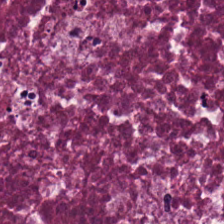This field is necrotic debris.
